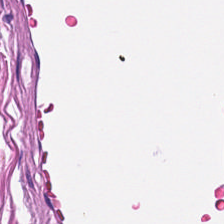Hematoxylin-and-eosin stained section — Predominant tissue = muscularis.
